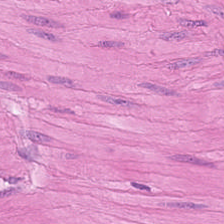Tissue type = smooth muscle.
